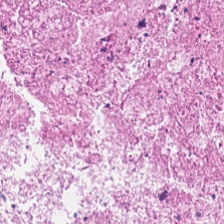Hematoxylin and eosin — Predominantly necrotic debris.
